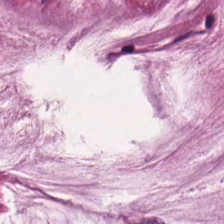H&E-stained tissue section. FFPE tissue section.
Mucus.
